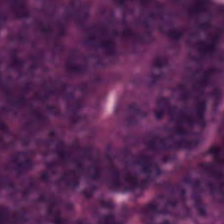H&E-stained tissue section — The tissue here is tumor epithelium.
